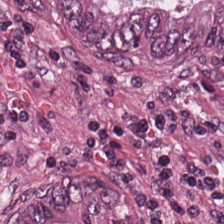FFPE tissue section. 224×224 pixel tile. H&E. This field is tumor epithelium.
